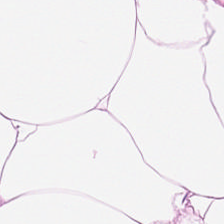Stain: hematoxylin and eosin.
Classification: fat tissue.
